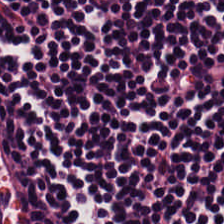H&E — Q: Identify the tissue.
A: The field shows lymphocytic infiltrate.
